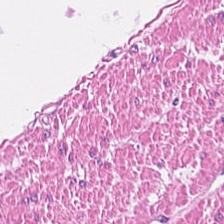H&E stain. Q: What does this patch show?
A: It is smooth-muscle tissue.
